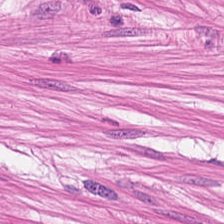Stain: hematoxylin-and-eosin stained section.
Preparation: FFPE.
Predominant tissue: muscularis.
